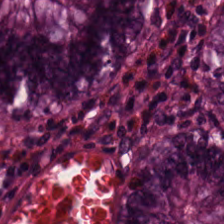The tissue here is normal colon mucosa.
